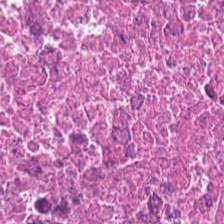Brightfield microscopy. H&E-stained tissue section — Predominantly cellular debris.
